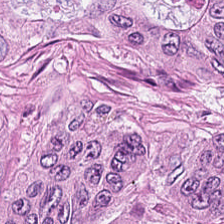Stain: H&E stain.
Preparation: FFPE tissue section.
Classification: tumor epithelium.
